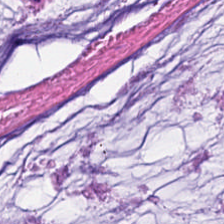H&E stain; FFPE. Q: What does this patch show?
A: Mucin.
